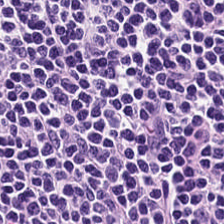Hematoxylin and eosin — Showing lymphoid infiltrate.
